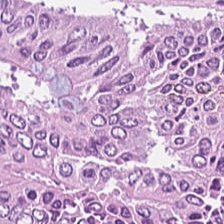The tissue here is colorectal adenocarcinoma.
